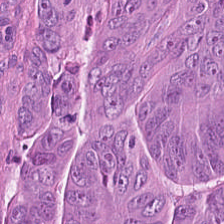Brightfield; 224×224 pixel tile; H&E. Finding — tumor epithelium.
